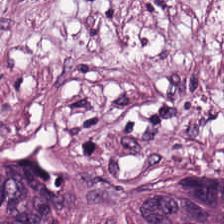Hematoxylin-and-eosin stained section. Showing desmoplastic stroma.
